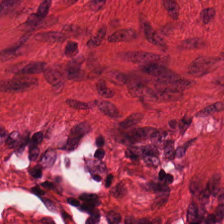FFPE tissue section. WSI patch. H&E-stained tissue section.
Q: What does this patch show?
A: The field shows smooth-muscle tissue.
